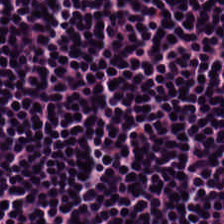H&E. Predominant tissue — lymphoid infiltrate.
